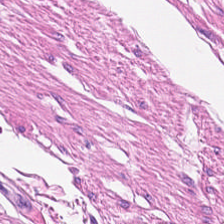H&E — The classification is smooth-muscle tissue.
